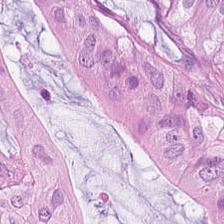20× equivalent magnification; hematoxylin and eosin.
Showing colorectal adenocarcinoma epithelium.
